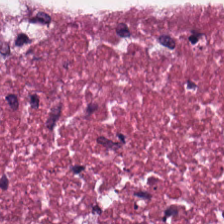224×224 px patch; brightfield microscopy; hematoxylin and eosin.
Q: What is shown in this field?
A: It is necrotic debris.
